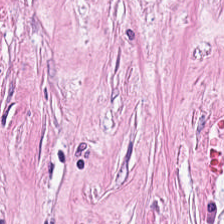H&E-stained tissue section. Q: Identify the tissue.
A: It is tumor-associated stroma.
